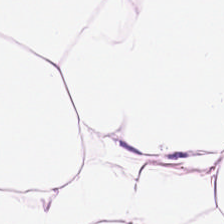H&E-stained tissue section. Adipocytes.
